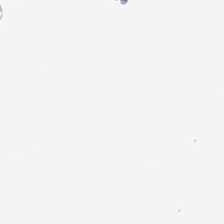Impression → background (no tissue).
